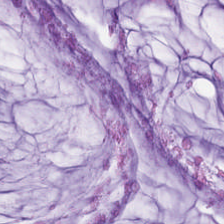0.5 µm/px · hematoxylin-and-eosin stained section.
Q: What does this patch show?
A: The field shows mucus.
